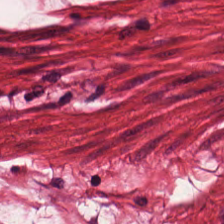H&E — This field is smooth-muscle tissue.
